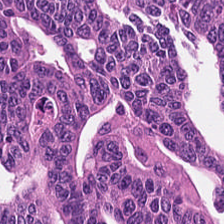H&E · whole-slide-image patch · 0.5 microns per pixel.
This field is colorectal adenocarcinoma epithelium.
